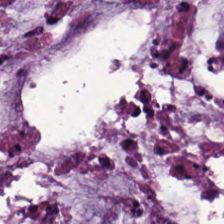Brightfield microscopy; hematoxylin-and-eosin stained section; formalin-fixed paraffin-embedded section — Tissue class: mucin.
